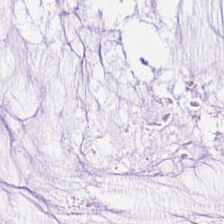H&E-stained tissue section. Brightfield — Classification — mucus.
